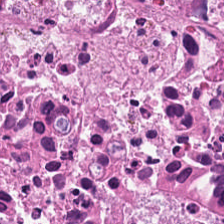Classification: cellular debris.
